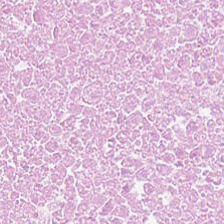H&E-stained tissue section. The predominant tissue is necrotic debris.
